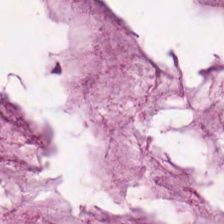Formalin-fixed paraffin-embedded section. H&E. The tissue is mucus.
